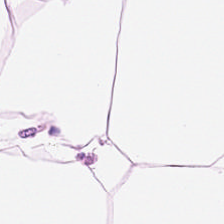Formalin-fixed paraffin-embedded section. Hematoxylin and eosin. This patch shows adipose tissue.
